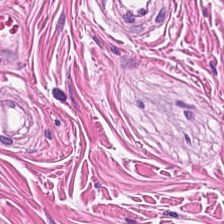Stain: H&E stain.
Tissue: smooth muscle.
